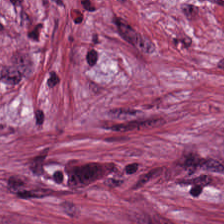0.5 µm per pixel · hematoxylin and eosin — Tissue type — tumor stroma.
